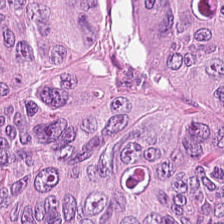Hematoxylin and eosin. Finding → malignant epithelium.
